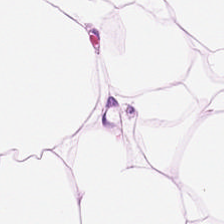Predominantly adipose tissue.
